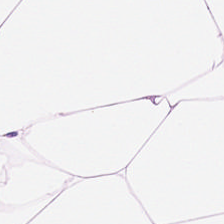FFPE · hematoxylin and eosin · brightfield microscopy.
Predominant tissue = adipocytes.
